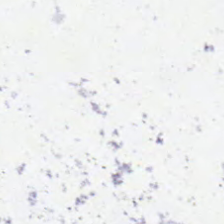Q: What is shown in this field?
A: This is empty background.
